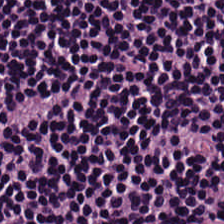Brightfield microscopy · H&E stain.
Showing lymphocyte aggregate.
